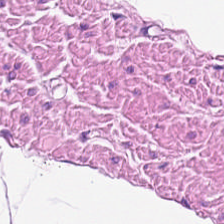Hematoxylin-and-eosin stained section. Predominantly muscularis.
